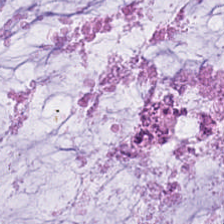Extracellular mucin.
